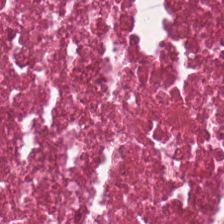Finding — cellular debris.
